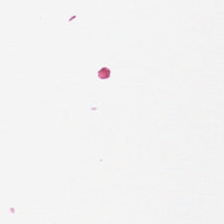No tissue present; background only.
